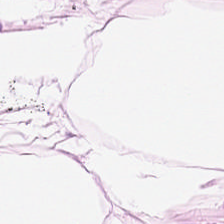Hematoxylin-and-eosin stained section. Predominant tissue = fat tissue.
